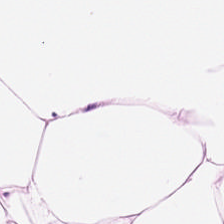224×224 px tile · hematoxylin-and-eosin stained section · FFPE tissue section — Showing adipose tissue.
